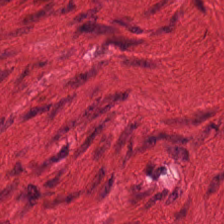H&E stain; 20× equivalent magnification. Smooth-muscle tissue.
